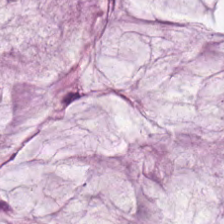Stain: H&E.
Tissue: mucin.
